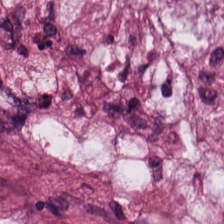WSI patch; hematoxylin and eosin; 224×224 px patch. Predominantly extracellular mucin.
